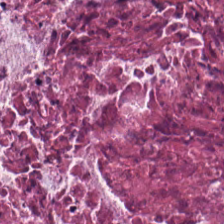H&E patch showing cellular debris.
